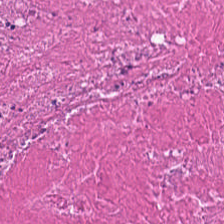Stain: H&E-stained tissue section.
Tissue: cellular debris.
